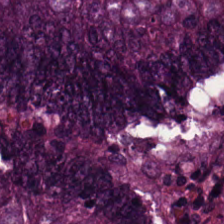Brightfield microscopy. H&E stain. 0.5 microns per pixel — This field is tumor epithelium.
